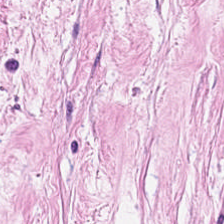H&E stain.
The predominant tissue is desmoplastic stroma.
